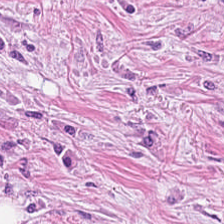Hematoxylin-and-eosin stained section. {"tissue_type": "cancer-associated stroma"}
